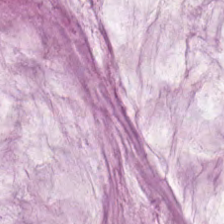0.5 µm per pixel; H&E; FFPE — Histology → extracellular mucin.
